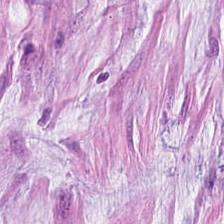Finding → mucus.
